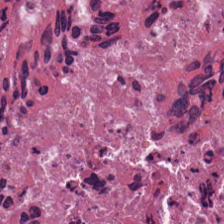Stain: H&E.
Resolution: 0.5 microns per pixel.
Preparation: FFPE tissue section.
Classification: debris.
